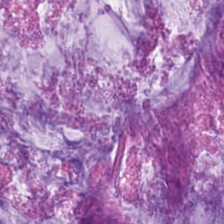Tissue — mucus.
